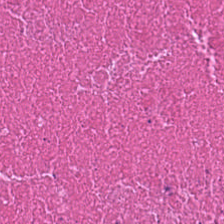Q: What tissue type is shown here?
A: It is debris.
